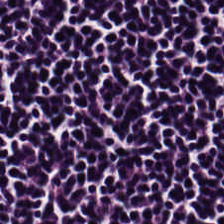Impression — lymphoid infiltrate.
